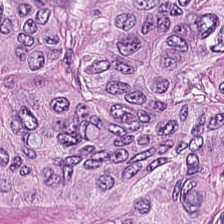H&E. 224×224 pixel tile. The tissue here is adenocarcinoma.
